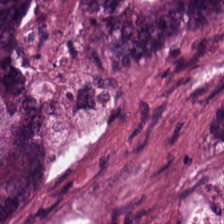H&E stain. 224×224 px patch — Showing malignant epithelium.
